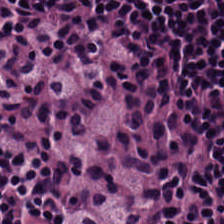FFPE. H&E-stained tissue section — Histology — lymphoid infiltrate.
